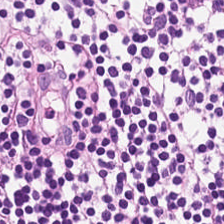H&E-stained tissue section. This patch shows lymphoid infiltrate.
